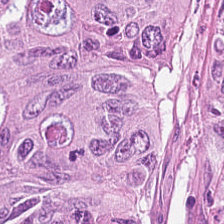Hematoxylin-and-eosin stained section. Q: What does this patch show?
A: Tumor epithelium.
